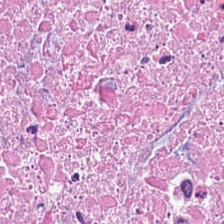H&E-stained tissue section.
Showing debris.
